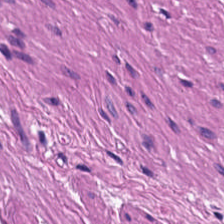H&E stain. Brightfield — This field is smooth muscle.
